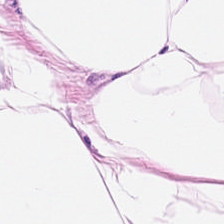H&E-stained section; the field shows adipocytes.
